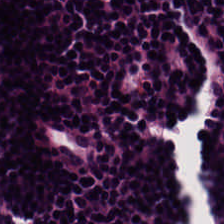H&E-stained tissue section.
This field is lymphoid infiltrate.
